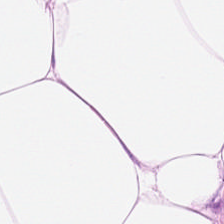FFPE; hematoxylin-and-eosin stained section; WSI patch — Q: What tissue is shown?
A: It is adipose.
